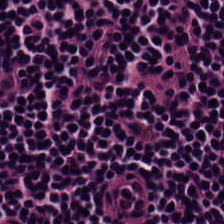Formalin-fixed paraffin-embedded section. 0.5 microns per pixel. H&E stain — Lymphocytes.
